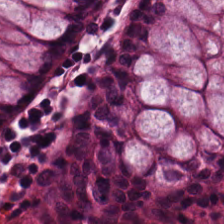Hematoxylin-and-eosin stained section. Non-neoplastic colon mucosa.
